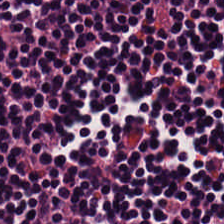Stain: hematoxylin-and-eosin stained section.
Tissue type: lymphocyte aggregate.
